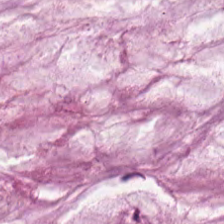Stain: H&E stain.
Tissue class: mucus.
